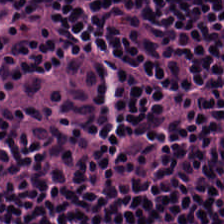Q: What is shown in this field?
A: Lymphocytes.
